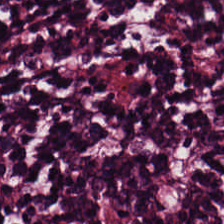Hematoxylin and eosin; 0.5 microns per pixel — This patch shows lymphocyte aggregate.
